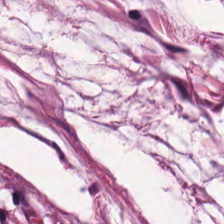Hematoxylin and eosin.
Tissue class — mucin.
